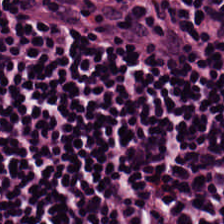H&E.
Predominantly lymphocytes.
